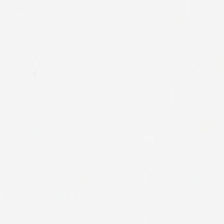H&E stain; 0.5 microns per pixel; 224×224 px tile — No tissue present; background only.
